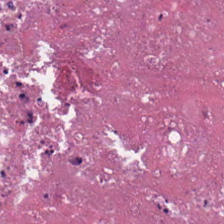Stain: hematoxylin-and-eosin stained section.
Tissue: necrotic debris.
